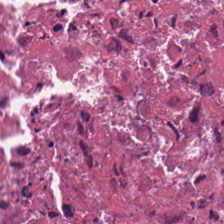Hematoxylin-and-eosin stained section — Predominantly debris.
